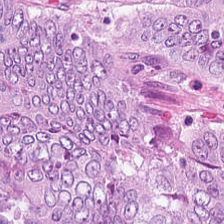H&E-stained tissue section; formalin-fixed paraffin-embedded section. Q: Identify the tissue.
A: The field shows colorectal adenocarcinoma epithelium.
